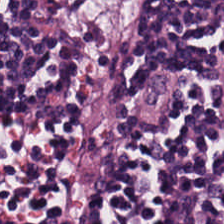Stain: H&E-stained tissue section.
Tissue type: lymphocyte aggregate.
